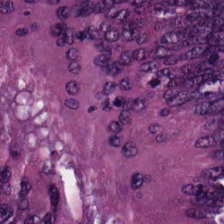H&E — Classification: colorectal adenocarcinoma epithelium.
